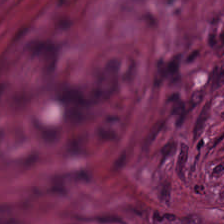Tumor-associated stroma.
